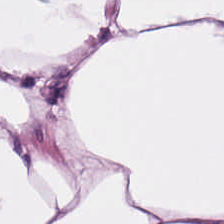Predominantly fat tissue.
